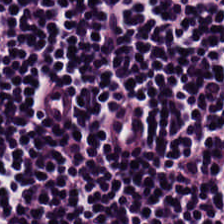Hematoxylin-and-eosin section: lymphocytes.
